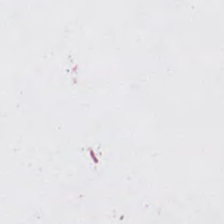H&E stain. Empty field — background.
